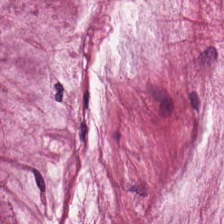Hematoxylin and eosin. Q: What tissue type is shown here?
A: It is mucus.
